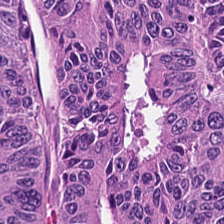Hematoxylin and eosin · 224×224 pixel tile.
Q: Classify this patch.
A: This is malignant epithelium.
